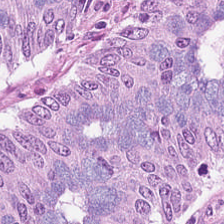H&E-stained tissue section. FFPE. Tissue type = colorectal adenocarcinoma epithelium.
